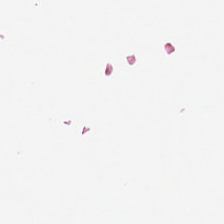H&E-stained tissue section — Empty field — background (no tissue).
